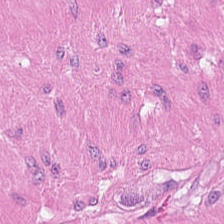Hematoxylin-and-eosin stained section; 224×224 px tile. Impression → smooth muscle.
